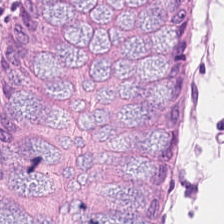H&E. 0.5 microns per pixel. Predominant tissue: normal colonic mucosa.
